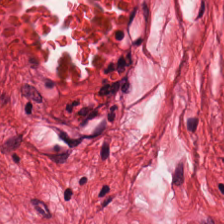Finding — smooth-muscle tissue.
